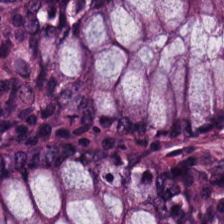20× equivalent magnification. H&E stain. This patch shows normal colonic mucosa.
